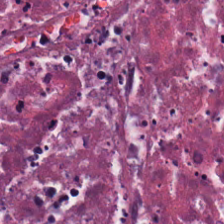FFPE; H&E.
Predominant tissue = cellular debris.
